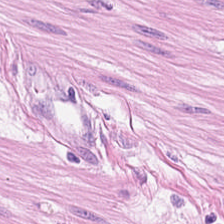H&E. Q: What is shown in this field?
A: This is smooth-muscle tissue.
